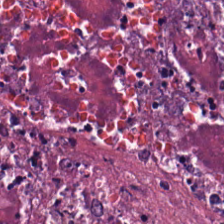Hematoxylin-and-eosin stained section; 224×224 pixel tile — {"tissue_type": "debris"}
